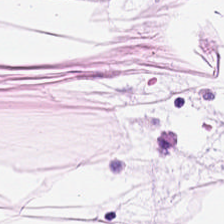0.5 µm/px; H&E — Tissue: adipocytes.
